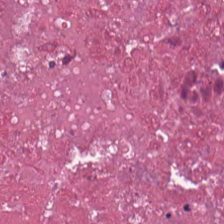H&E — Q: What is shown here?
A: This is necrotic debris.
